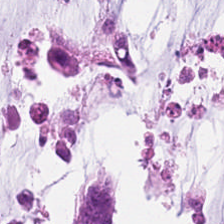Stain: H&E.
Tissue class: extracellular mucin.
